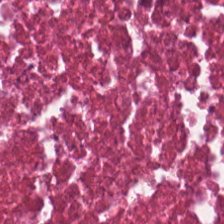0.5 µm per pixel. Brightfield microscopy. H&E-stained tissue section.
Finding — cellular debris.
